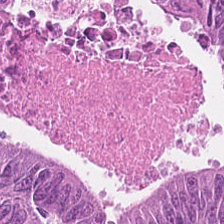Predominantly tumor epithelium.
